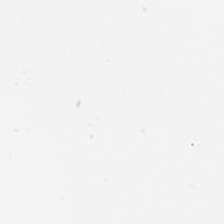Stain: H&E stain.
Classification: empty background.
